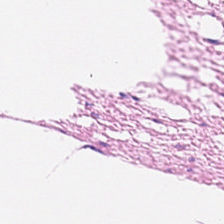Hematoxylin-and-eosin stained section. 0.5 µm per pixel.
Tissue type: muscularis.
